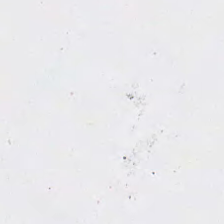H&E; whole-slide-image patch — Background — no tissue in this field.
